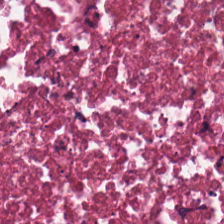Q: What is shown in this field?
A: The field shows debris.
